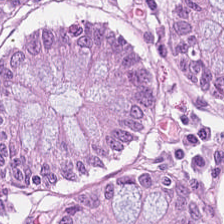Predominantly normal colonic mucosa.
